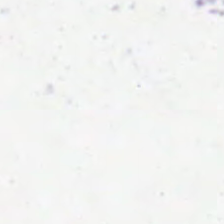Field content — no tissue.
